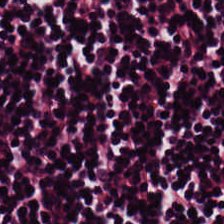Hematoxylin-and-eosin section: lymphoid infiltrate.
